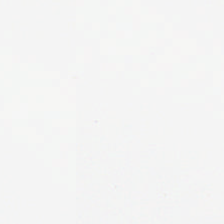This patch shows empty background.
